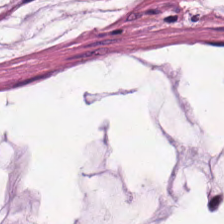Impression → mucus.
